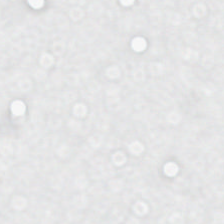H&E stain.
Content = no tissue.
